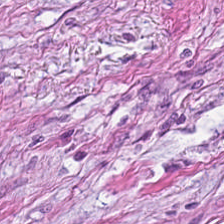H&E stain — Q: Identify the tissue.
A: This is cancer-associated stroma.
